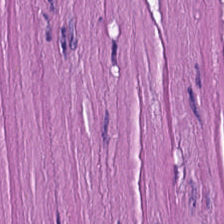{"tissue_type": "smooth-muscle tissue"}
